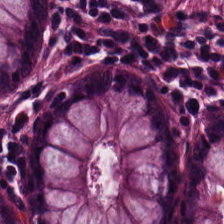Hematoxylin and eosin. FFPE tissue section. 224×224 px patch.
Q: Classify this patch.
A: This is benign colonic mucosa.
